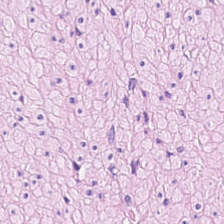Hematoxylin and eosin; WSI patch; 0.5 microns per pixel. The tissue type is muscularis.
